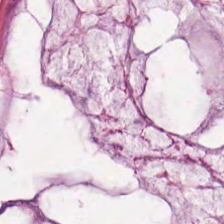FFPE tissue section; 0.5 µm per pixel; hematoxylin and eosin — Q: Identify the tissue.
A: It is extracellular mucin.
